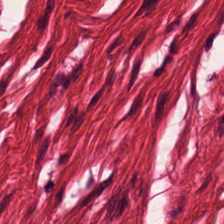This patch shows smooth-muscle tissue.
